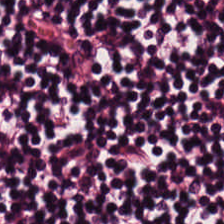Classification = lymphocytic infiltrate.
